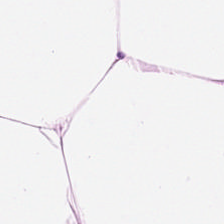H&E — adipose tissue.
